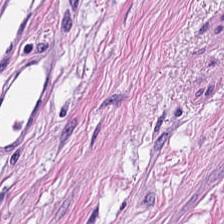Hematoxylin and eosin.
Muscularis.
